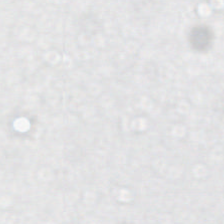FFPE tissue section · 0.5 µm/px · hematoxylin and eosin.
Background.
